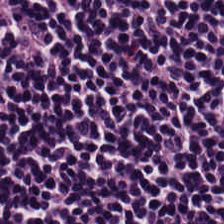H&E stain — {"tissue_type": "lymphocytes"}
